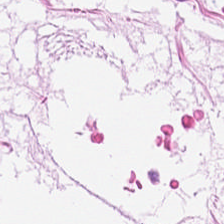224×224 px tile · formalin-fixed paraffin-embedded section · hematoxylin-and-eosin stained section.
Adipose tissue.
